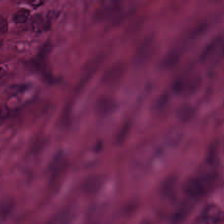Stain: H&E.
Predominant tissue: tumor stroma.
